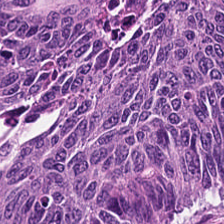Hematoxylin and eosin.
Showing adenocarcinoma.
